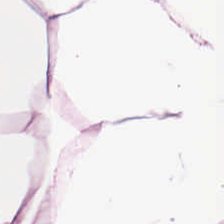Brightfield microscopy. H&E stain — Q: What is the predominant tissue type?
A: It is adipocytes.
